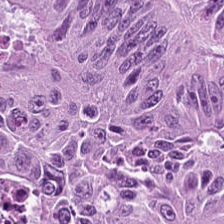H&E stain.
The predominant tissue is malignant epithelium.
